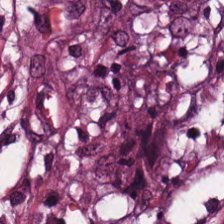Brightfield microscopy · H&E-stained tissue section.
Q: What tissue type is shown here?
A: Tumor stroma.
